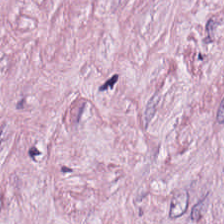H&E-stained tissue section; formalin-fixed paraffin-embedded section.
Classification — tumor stroma.
